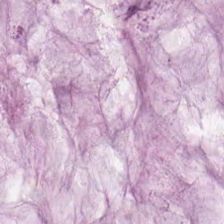224×224 px patch · H&E-stained tissue section · 0.5 microns per pixel — The tissue here is extracellular mucin.
